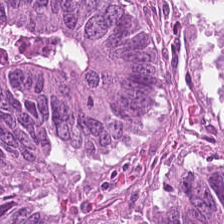20× equivalent magnification · H&E-stained tissue section · WSI patch — The classification is colorectal adenocarcinoma.
